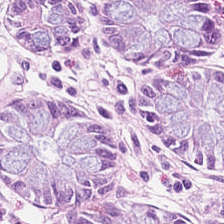The predominant tissue is benign colonic mucosa.
